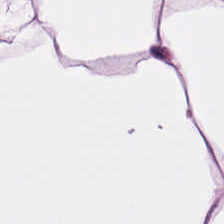Formalin-fixed paraffin-embedded section. 0.5 µm/px. H&E-stained tissue section — Q: What is shown here?
A: It is fat tissue.
